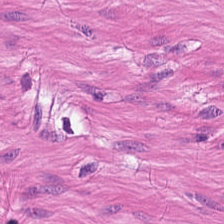Hematoxylin-and-eosin stained section — {"tissue_type": "smooth muscle"}
